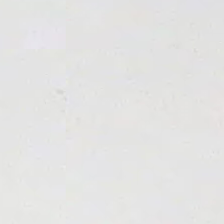Formalin-fixed paraffin-embedded section · brightfield · H&E stain — {"content": "empty background"}
